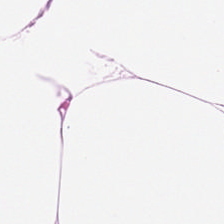H&E-stained section; the field shows adipose.
